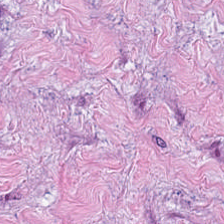{"tissue_type": "cancer-associated stroma"}
